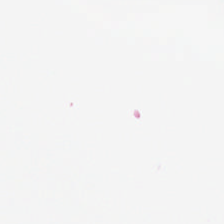Hematoxylin-and-eosin stained section; FFPE — Classification — background.
